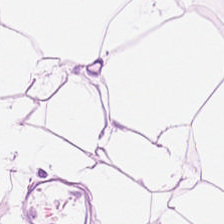H&E-stained section; the field shows adipocytes.
